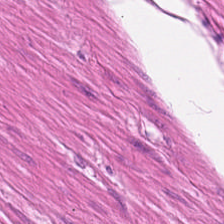Stain: H&E stain.
Classification: smooth muscle.
